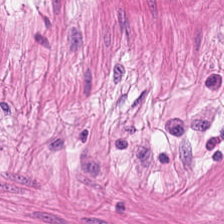The tissue class is smooth-muscle tissue.
